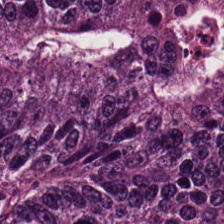0.5 µm/px. Hematoxylin and eosin.
Histology → adenocarcinoma.
